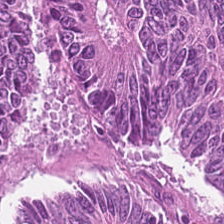H&E.
Histology — adenocarcinoma.
